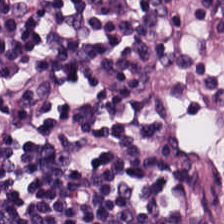This patch shows lymphocytes.
